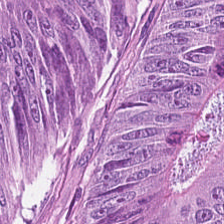224×224 px patch. Hematoxylin-and-eosin stained section.
Finding → colorectal adenocarcinoma epithelium.
